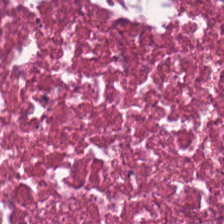Formalin-fixed paraffin-embedded section · H&E-stained tissue section. The predominant tissue is cellular debris.
